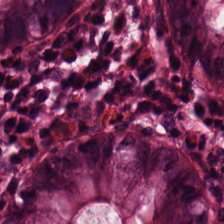Hematoxylin-and-eosin stained section — Classification: normal colonic mucosa.
